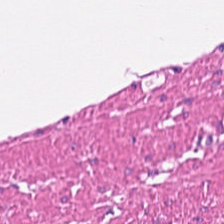WSI patch · hematoxylin and eosin. Showing muscularis.
